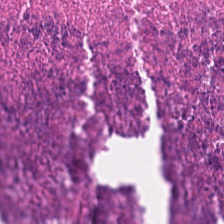224×224 px patch; H&E stain.
Predominantly necrotic debris.
